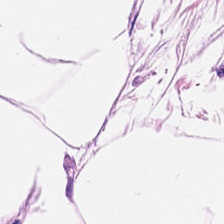Hematoxylin and eosin. Histology — fat tissue.
